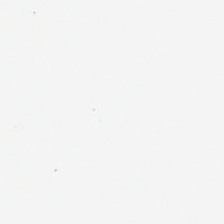H&E stain · 224×224 pixel tile.
This field is background (no tissue).
